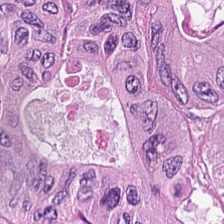Showing adenocarcinoma.
